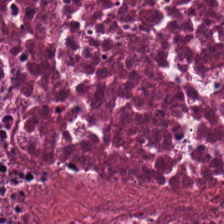Stain: hematoxylin-and-eosin stained section.
Preparation: FFPE.
Predominant tissue: necrotic debris.
